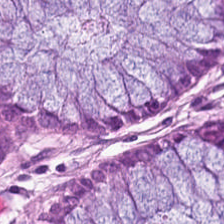Tissue type — benign colonic mucosa.
